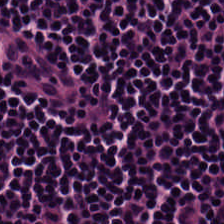H&E stain.
Q: What is shown here?
A: The field shows lymphocytic infiltrate.
